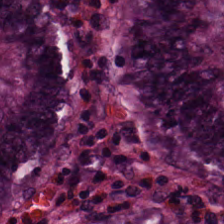0.5 µm/px · hematoxylin-and-eosin stained section. Predominantly normal colon mucosa.
